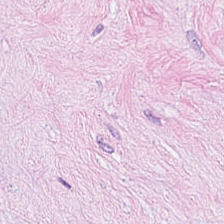H&E-stained tissue section.
The tissue here is tumor stroma.
